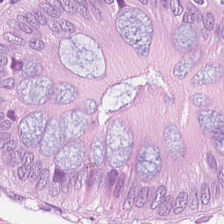This patch shows non-neoplastic colon mucosa.
